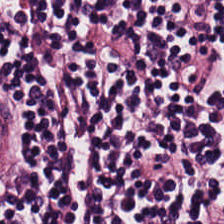H&E.
Showing lymphoid infiltrate.
